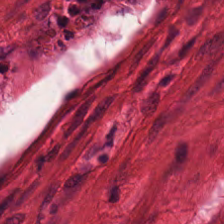FFPE tissue section · H&E-stained tissue section · 224×224 pixel tile. This field is muscularis.
